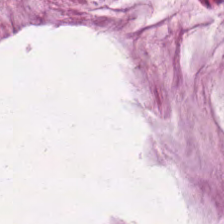H&E-stained tissue section.
Impression — mucus.
